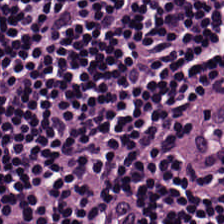Finding → lymphocytes.
